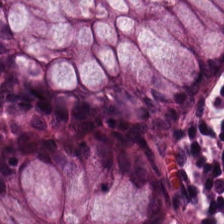224×224 px patch · H&E-stained tissue section · 20× equivalent magnification — Q: What tissue is shown?
A: It is non-neoplastic colon mucosa.
